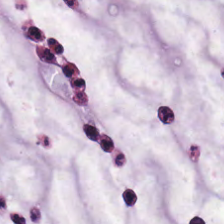H&E. Mucus.
